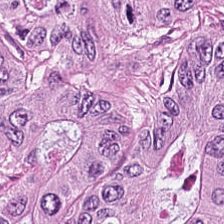Hematoxylin and eosin · 224×224 px tile.
The tissue here is malignant epithelium.
